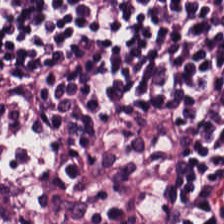0.5 microns per pixel. Hematoxylin-and-eosin stained section. 224×224 px tile. The predominant tissue is lymphocytes.
